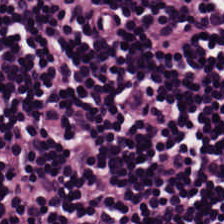Hematoxylin-and-eosin stained section — Q: What tissue type is shown here?
A: It is lymphocytes.
